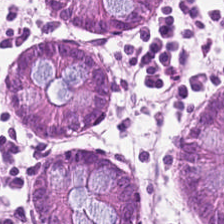H&E — This patch shows normal colon mucosa.
